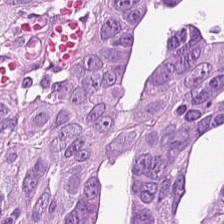224×224 pixel tile; hematoxylin and eosin. Q: Identify the tissue.
A: It is adenocarcinoma.
